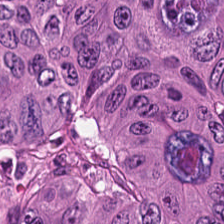Whole-slide-image patch · hematoxylin-and-eosin stained section. The predominant tissue is tumor epithelium.
